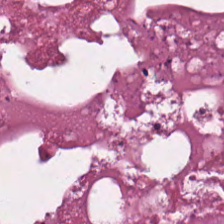Hematoxylin-and-eosin stained section. {"tissue_type": "necrotic debris"}
